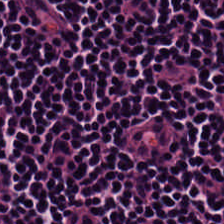Stain: H&E.
Acquisition: whole-slide-image patch.
Tissue: lymphoid infiltrate.
